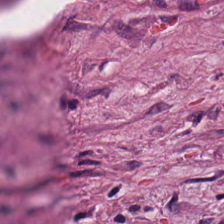FFPE tissue section · 0.5 µm per pixel · H&E-stained tissue section — Q: What is shown here?
A: Cancer-associated stroma.
